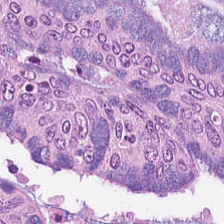H&E stain · FFPE. The tissue type is tumor epithelium.
